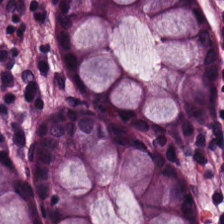H&E.
Q: What is shown here?
A: The field shows benign colonic mucosa.
